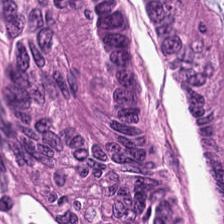Q: What tissue is shown?
A: Colorectal adenocarcinoma epithelium.
